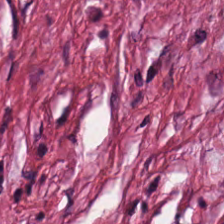H&E.
Q: What type of tissue is this?
A: It is cancer-associated stroma.
